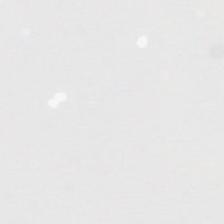Classification — no tissue.
